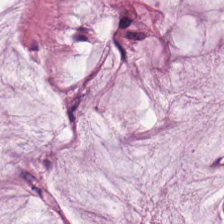Hematoxylin-and-eosin stained section.
Tissue type: extracellular mucin.
